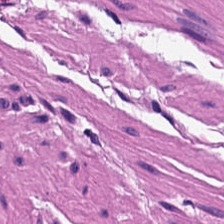Stain: H&E-stained tissue section.
Classification: muscularis.
